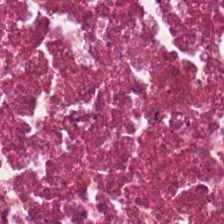Predominant tissue = cellular debris.
